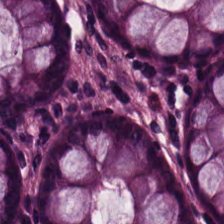H&E-stained tissue section — Histology → normal colonic mucosa.
